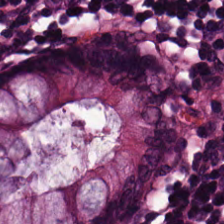FFPE; hematoxylin-and-eosin stained section — Q: What tissue is shown?
A: Normal colon mucosa.
